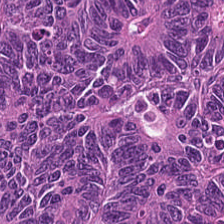H&E. Tissue — adenocarcinoma.
